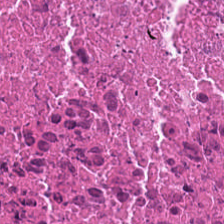Hematoxylin and eosin — The tissue class is debris.
